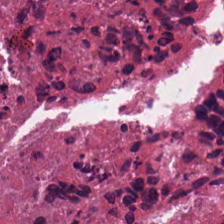Brightfield microscopy; hematoxylin and eosin.
Predominantly cellular debris.
